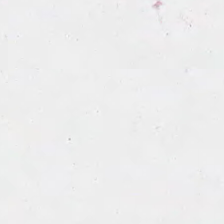No tissue present; background only.
